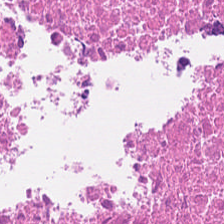20× equivalent magnification; H&E-stained tissue section.
Tissue type — cellular debris.
